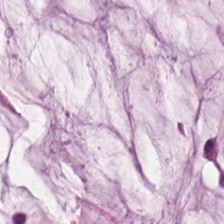Hematoxylin and eosin.
Impression — extracellular mucin.
